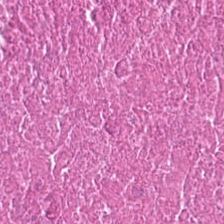Stain: hematoxylin and eosin.
Acquisition: whole-slide-image patch.
Preparation: FFPE tissue section.
Tissue: necrotic debris.
